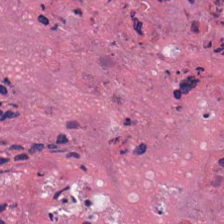{"tissue_type": "cellular debris"}
